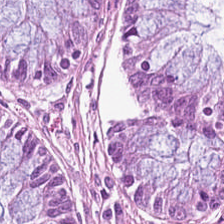Hematoxylin-and-eosin stained section.
This field is non-neoplastic colon mucosa.
